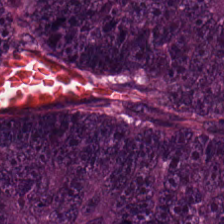H&E-stained tissue section; 224×224 px tile — Predominantly tumor epithelium.
